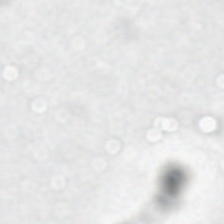No tissue present; background only.
